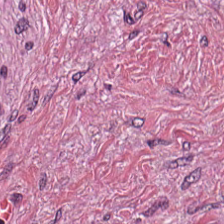Classification = desmoplastic stroma.
